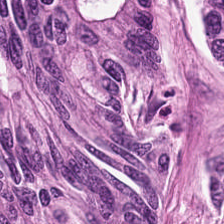Finding — adenocarcinoma.
